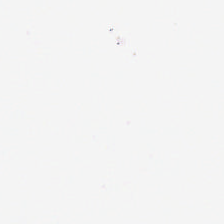H&E; 0.5 µm per pixel.
Content — background (no tissue).
